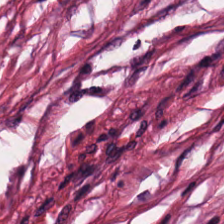H&E-stained tissue section; 0.5 microns per pixel.
Q: What is the predominant tissue type?
A: Tumor-associated stroma.
